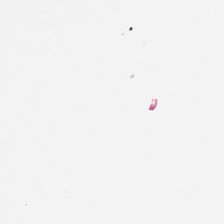Content: empty background.
